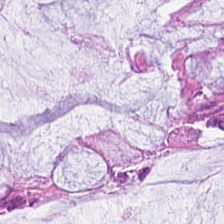H&E stain — Classification — normal colonic mucosa.
